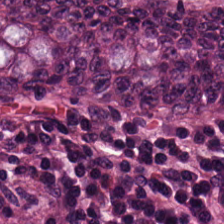H&E-stained tissue section. 224×224 pixel tile. Brightfield microscopy — Histology — normal colon mucosa.
